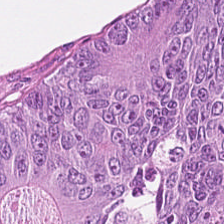H&E stain · formalin-fixed paraffin-embedded section · 224×224 px tile. Q: Identify the tissue.
A: It is colorectal adenocarcinoma.
